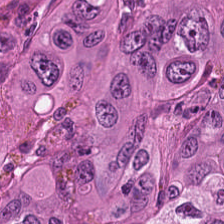H&E stain. Whole-slide-image patch. Q: Identify the tissue.
A: It is colorectal adenocarcinoma epithelium.
